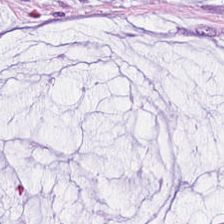224×224 px patch; H&E-stained tissue section; formalin-fixed paraffin-embedded section.
Tissue class = mucus.
